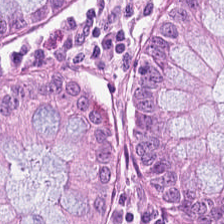Hematoxylin-and-eosin stained section — Q: What type of tissue is this?
A: It is non-neoplastic colon mucosa.
